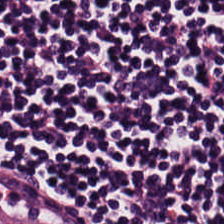Hematoxylin-and-eosin stained section — Showing lymphoid infiltrate.
